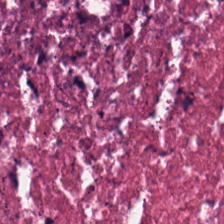Hematoxylin-and-eosin section: cellular debris.
